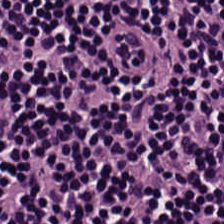Hematoxylin and eosin. FFPE. 224×224 px tile — Histology — lymphocytes.
